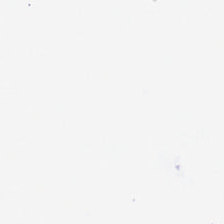Hematoxylin and eosin.
Classification: background.
